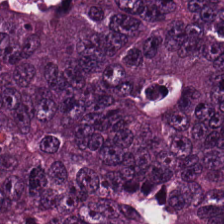Stain: hematoxylin and eosin.
Tissue: tumor epithelium.
